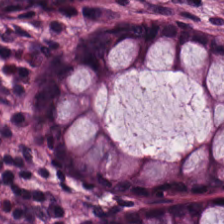H&E. The classification is benign colonic mucosa.
